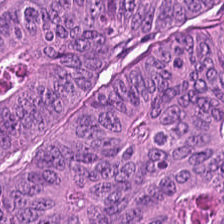Stain: hematoxylin and eosin.
Tissue type: adenocarcinoma.
